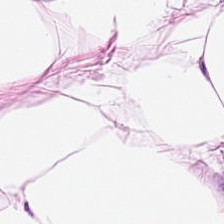Hematoxylin and eosin. {"tissue_type": "adipose"}
